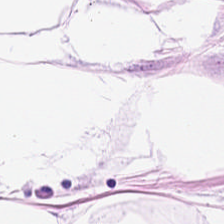Hematoxylin and eosin. Brightfield microscopy. The tissue class is fat tissue.
